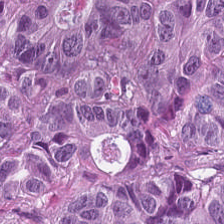H&E stain. Q: What does this patch show?
A: It is malignant epithelium.
